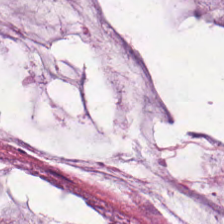Hematoxylin and eosin; 224×224 px patch — Predominant tissue = mucus.
